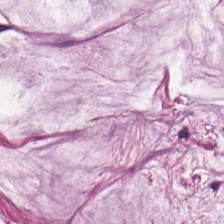H&E stain. 224×224 px tile. 0.5 microns per pixel.
Showing mucin.
